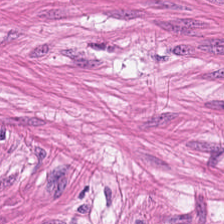Hematoxylin-and-eosin stained section. Tissue: smooth muscle.
